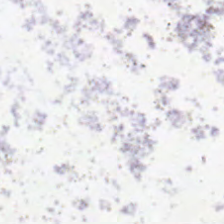Stain: hematoxylin and eosin.
Acquisition: brightfield microscopy.
Classification: background.
